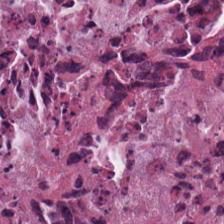H&E-stained tissue section. 224×224 px patch — Tissue type = cellular debris.
